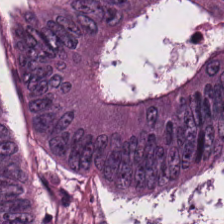Classification: colorectal adenocarcinoma epithelium.
